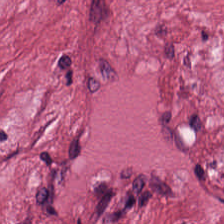H&E.
Q: What tissue is shown?
A: The field shows cancer-associated stroma.
